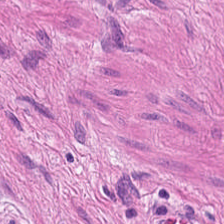H&E-stained tissue section.
Q: What is shown here?
A: The field shows smooth muscle.
